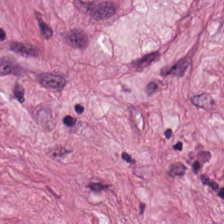H&E-stained tissue section. FFPE tissue section — Cancer-associated stroma.
